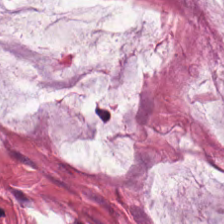H&E-stained tissue section. Tissue: extracellular mucin.
